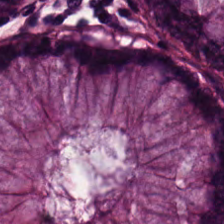FFPE; hematoxylin and eosin — Q: What tissue type is shown here?
A: Normal colon mucosa.
